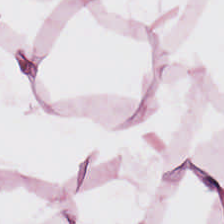Adipocytes.
